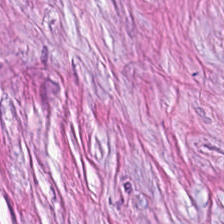H&E. Tissue type = tumor-associated stroma.
